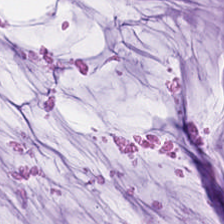Q: What type of tissue is this?
A: Mucin.
